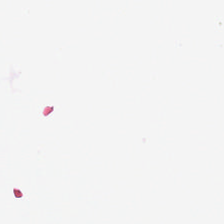Hematoxylin-and-eosin stained section; 20× equivalent magnification.
Background (no tissue).
